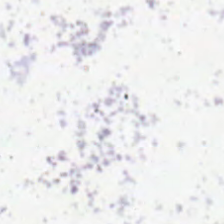Hematoxylin-and-eosin stained section · brightfield.
{"content": "background (no tissue)"}
